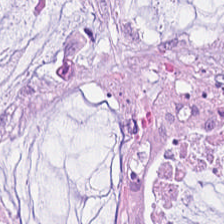0.5 µm/px. H&E stain. Tissue: extracellular mucin.
